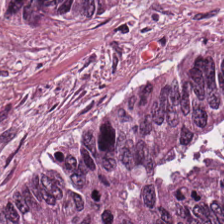Brightfield microscopy; H&E stain.
This patch shows malignant epithelium.
